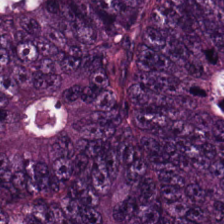H&E stain.
The predominant tissue is adenocarcinoma.
